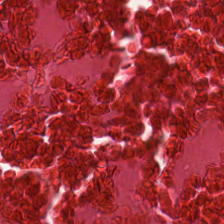H&E — necrotic debris.
